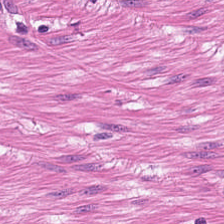Finding — smooth muscle.
